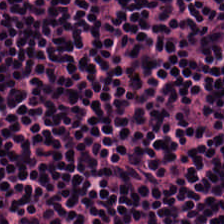H&E. This patch shows lymphoid infiltrate.
